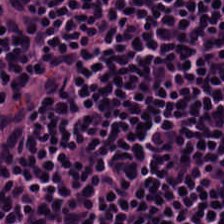Brightfield microscopy. 0.5 µm per pixel. Hematoxylin and eosin. This field is lymphocytic infiltrate.
